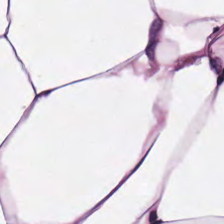Hematoxylin and eosin. Whole-slide-image patch — Histology → adipose tissue.
